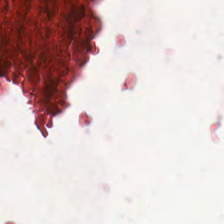224×224 px tile. H&E-stained tissue section.
Finding — debris.
